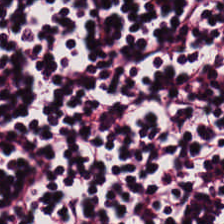224×224 px tile. Hematoxylin-and-eosin stained section. Formalin-fixed paraffin-embedded section — The tissue here is lymphocytic infiltrate.
